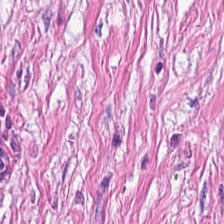H&E · 224×224 px tile. The predominant tissue is tumor-associated stroma.
